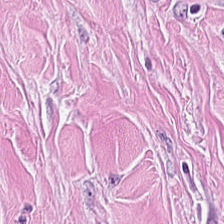Tissue — tumor stroma.
